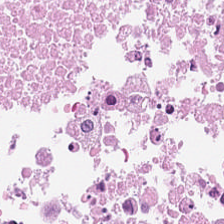H&E — Classification — cellular debris.
